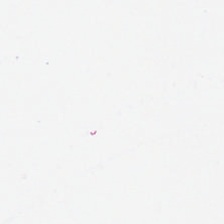FFPE tissue section. H&E. 0.5 µm/px. Q: What is shown in this field?
A: This is background.
